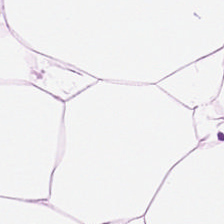Stain: H&E stain.
Predominant tissue: adipocytes.
